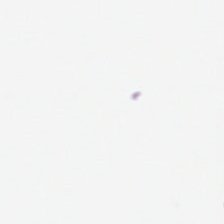Hematoxylin and eosin.
{"content": "background"}
